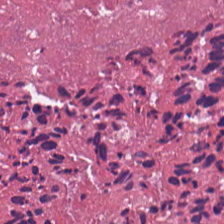Classification = debris.
